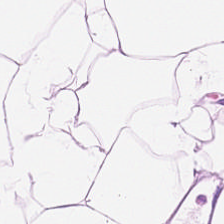H&E-stained tissue section — This field is adipose.
